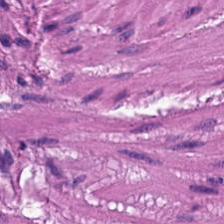224×224 pixel tile. FFPE tissue section. Hematoxylin-and-eosin stained section. Q: Classify this patch.
A: Smooth muscle.
